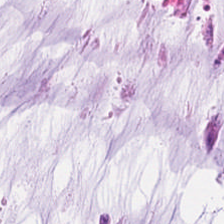H&E-stained tissue section · 0.5 µm/px. Finding — mucus.
